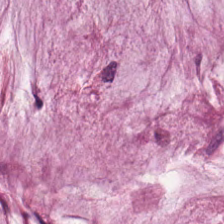Hematoxylin-and-eosin stained section — Q: What does this patch show?
A: It is mucin.
